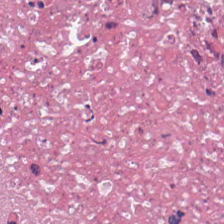Hematoxylin and eosin; formalin-fixed paraffin-embedded section.
Classification: debris.
